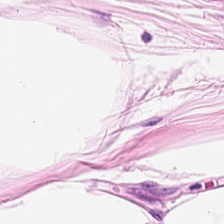224×224 px patch · H&E stain — This patch shows fat tissue.
